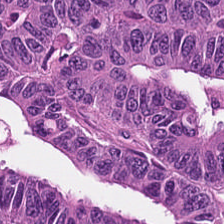Hematoxylin and eosin.
Colorectal adenocarcinoma epithelium.
